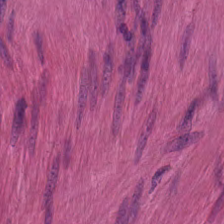H&E; 20× equivalent magnification. Q: What type of tissue is this?
A: Smooth muscle.
